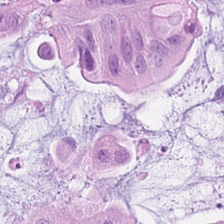Stain: H&E stain.
Preparation: FFPE.
Predominant tissue: extracellular mucin.
